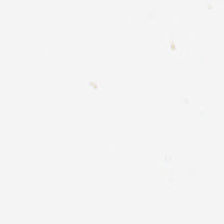Stain: hematoxylin and eosin.
Classification: no tissue.
